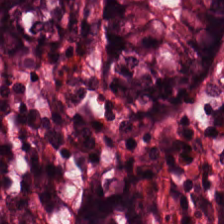Hematoxylin-and-eosin stained section — Q: What tissue is shown?
A: The field shows normal colonic mucosa.
